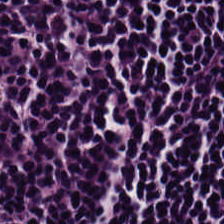Hematoxylin-and-eosin stained section. Tissue — lymphocyte aggregate.
